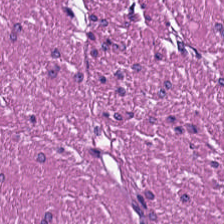Impression — muscularis.
